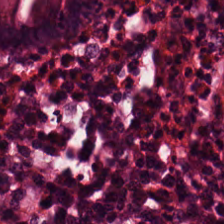Hematoxylin and eosin. 0.5 microns per pixel. Q: What tissue is shown?
A: This is non-neoplastic colon mucosa.
